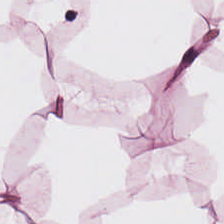H&E-stained tissue section. 224×224 px tile.
The tissue type is fat tissue.
